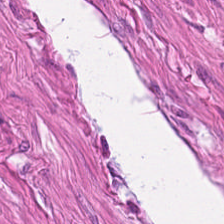The predominant tissue is smooth muscle.
